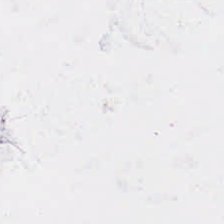Hematoxylin and eosin. Empty field — background (no tissue).
